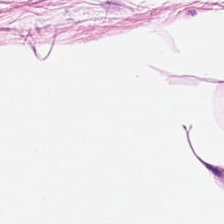Formalin-fixed paraffin-embedded section; H&E-stained tissue section. Q: What is the predominant tissue type?
A: This is adipocytes.
